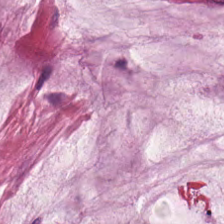Stain: H&E.
Acquisition: brightfield microscopy.
Preparation: FFPE tissue section.
Predominant tissue: extracellular mucin.
